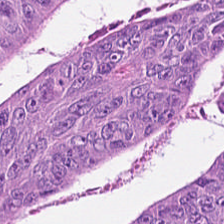Stain: H&E stain.
Predominant tissue: adenocarcinoma.
